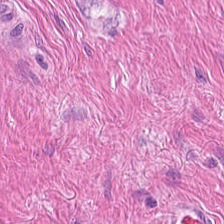H&E-stained tissue section showing smooth muscle.
